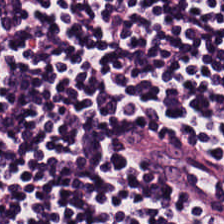{"tissue_type": "lymphocyte aggregate"}
